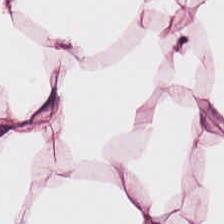Whole-slide-image patch; hematoxylin-and-eosin stained section. Predominant tissue — adipocytes.
